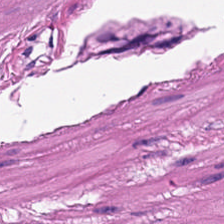H&E-stained tissue section — Showing smooth muscle.
